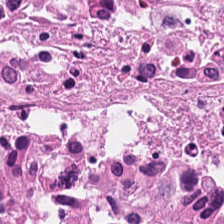Classification — necrotic debris.
